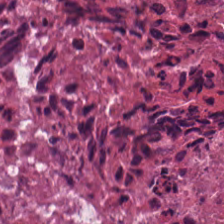H&E. 0.5 µm per pixel — The predominant tissue is necrotic debris.
